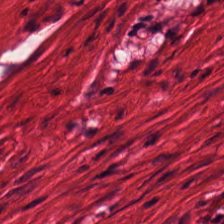The tissue type is smooth-muscle tissue.
